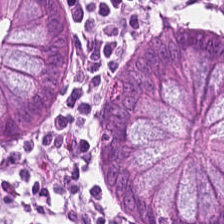H&E stain — Predominantly benign colonic mucosa.
